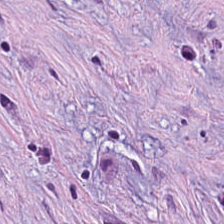Q: What type of tissue is this?
A: The field shows cancer-associated stroma.
